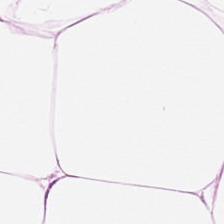H&E stain — The tissue is adipose.
